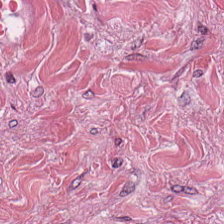H&E stain.
Tissue type = desmoplastic stroma.
